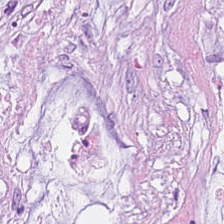Hematoxylin and eosin — Q: What does this patch show?
A: It is mucus.
